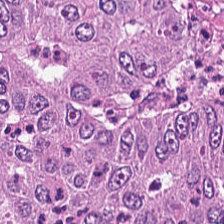H&E stain.
Q: What is shown in this field?
A: It is colorectal adenocarcinoma.
